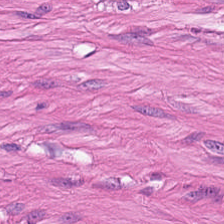H&E stain · whole-slide-image patch — This patch shows smooth-muscle tissue.
